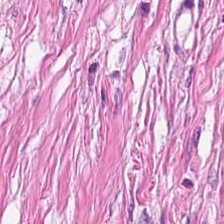H&E-stained tissue section. Formalin-fixed paraffin-embedded section.
{"tissue_type": "tumor-associated stroma"}
